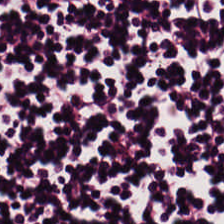H&E · formalin-fixed paraffin-embedded section · 224×224 px patch — Histology — lymphocytes.
